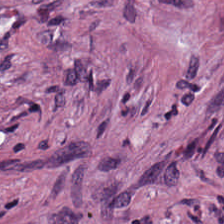224×224 pixel tile · hematoxylin-and-eosin stained section.
Impression → tumor stroma.
